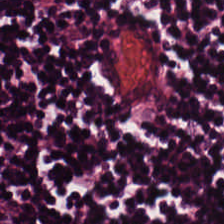Hematoxylin and eosin; 224×224 px patch.
{"tissue_type": "lymphoid infiltrate"}
